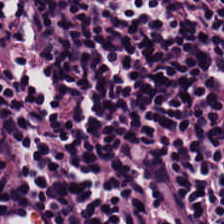Q: What tissue type is shown here?
A: Lymphoid infiltrate.
